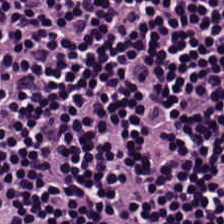Predominantly lymphocyte aggregate.
